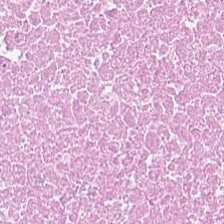Classification = necrotic debris.
